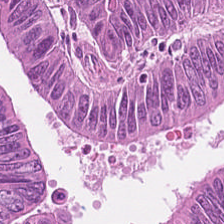H&E. This patch shows tumor epithelium.
